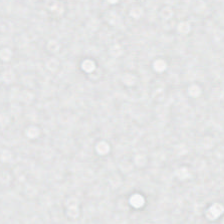Hematoxylin-and-eosin stained section; 224×224 px tile. {"content": "empty background"}
